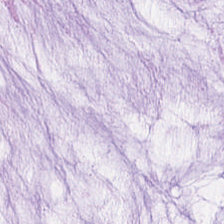Brightfield. H&E stain. {"tissue_type": "extracellular mucin"}
